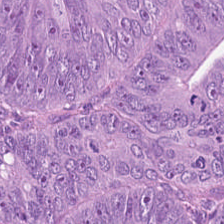Hematoxylin and eosin. Classification: adenocarcinoma.
